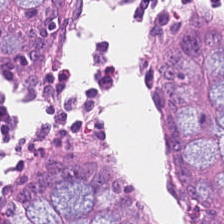Stain: H&E-stained tissue section.
Classification: normal colon mucosa.
